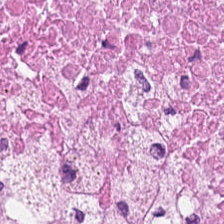Hematoxylin and eosin.
{"tissue_type": "cellular debris"}
